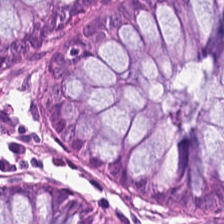Hematoxylin-and-eosin stained section. Whole-slide-image patch. 20× equivalent magnification. The predominant tissue is normal colon mucosa.
